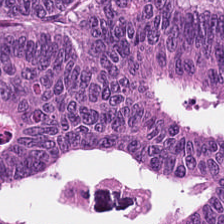Q: What type of tissue is this?
A: The field shows tumor epithelium.
